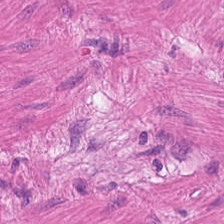Smooth muscle.
